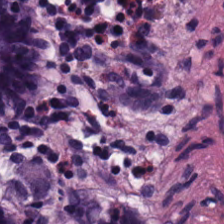FFPE tissue section; brightfield microscopy; H&E — {"tissue_type": "normal colon mucosa"}
